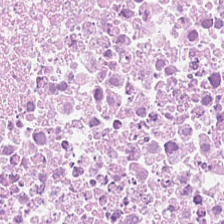Formalin-fixed paraffin-embedded section · H&E-stained tissue section — The predominant tissue is debris.
